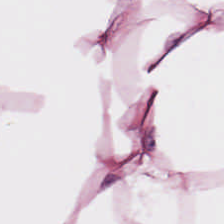Stain: H&E.
Tissue: adipose tissue.
